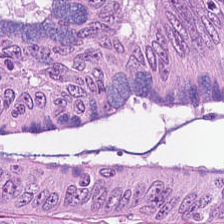Hematoxylin and eosin; FFPE. Predominant tissue — malignant epithelium.
